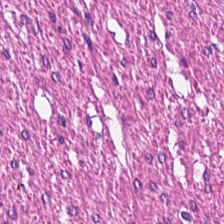H&E stain. This field is smooth-muscle tissue.
